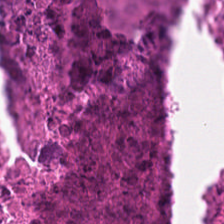Stain: H&E-stained tissue section.
Tissue class: necrotic debris.
